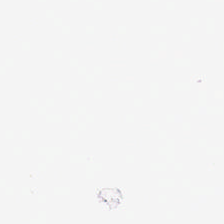H&E stain; 0.5 microns per pixel. Classification = background (no tissue).
